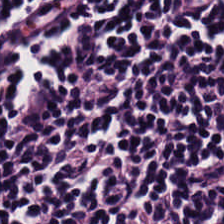Hematoxylin-and-eosin stained section. This field is lymphocyte aggregate.
